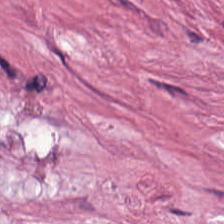Hematoxylin and eosin. Tissue = desmoplastic stroma.
